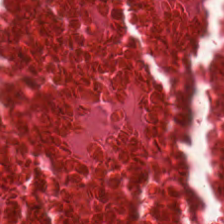Hematoxylin and eosin · 0.5 µm per pixel.
Impression → debris.
